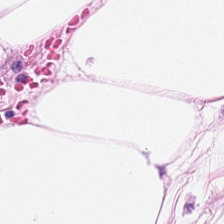H&E-stained tissue section. Q: What tissue type is shown here?
A: The field shows fat tissue.
